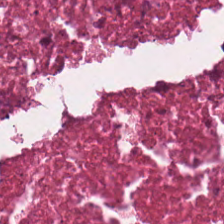FFPE · H&E-stained tissue section — Q: What tissue type is shown here?
A: It is necrotic debris.
